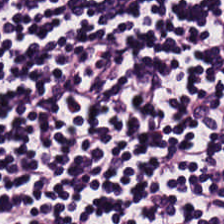H&E stain; 224×224 pixel tile.
{"tissue_type": "lymphocytes"}
